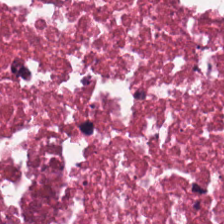H&E-stained tissue section. 224×224 px tile.
The tissue class is cellular debris.
